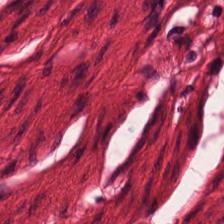Stain: hematoxylin-and-eosin stained section.
Tissue type: muscularis.
